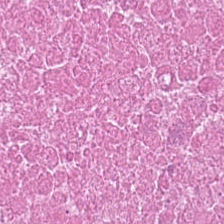Hematoxylin and eosin. Showing debris.
